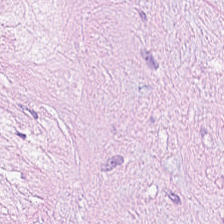Hematoxylin-and-eosin stained section · 20× equivalent magnification. Classification = desmoplastic stroma.
